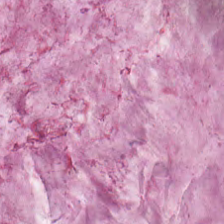Hematoxylin-and-eosin stained section. Brightfield microscopy. 224×224 pixel tile — Tissue: extracellular mucin.
